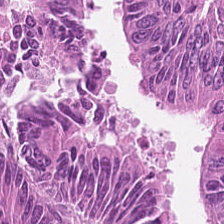Hematoxylin-and-eosin stained section. Formalin-fixed paraffin-embedded section. WSI patch. Q: What is shown here?
A: The field shows tumor epithelium.
